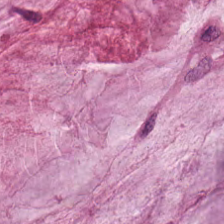224×224 px tile; hematoxylin and eosin — Tissue class = extracellular mucin.
